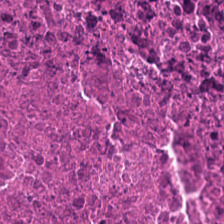Tissue class = cellular debris.
